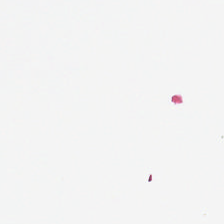Hematoxylin and eosin · formalin-fixed paraffin-embedded section. Content = no tissue.
